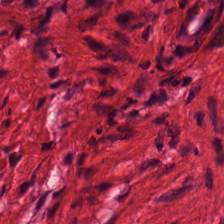H&E — Tissue = smooth muscle.
